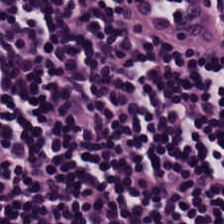H&E.
Q: Classify this patch.
A: The field shows lymphocyte aggregate.
